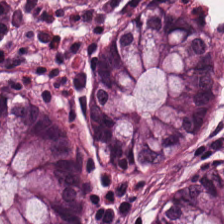H&E stain.
The predominant tissue is normal colonic mucosa.
